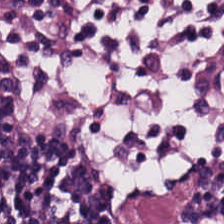H&E-stained tissue section — Showing lymphoid infiltrate.
